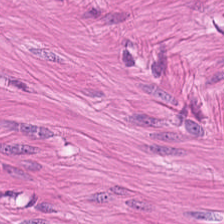Tissue class: smooth-muscle tissue.
